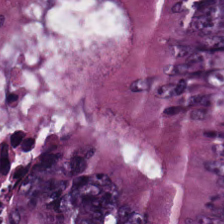224×224 px tile. H&E. FFPE tissue section.
The tissue type is malignant epithelium.
